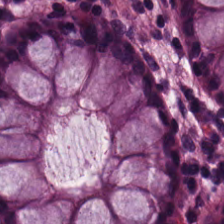0.5 µm/px · H&E-stained tissue section.
The tissue type is normal colon mucosa.
